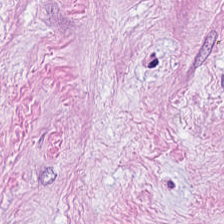Finding → tumor stroma.
